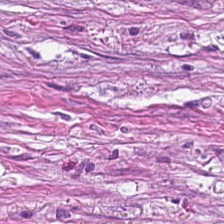Stain: hematoxylin and eosin.
Predominant tissue: tumor-associated stroma.
